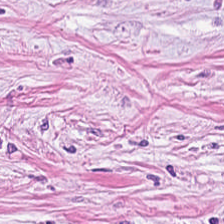WSI patch; formalin-fixed paraffin-embedded section; H&E stain.
The predominant tissue is tumor-associated stroma.
